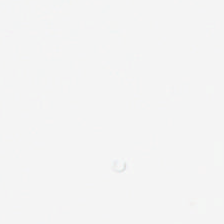224×224 px tile. H&E.
Q: What does this patch show?
A: It is empty background.
